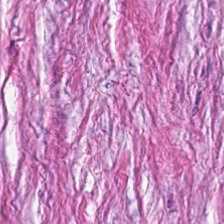224×224 pixel tile; H&E — Tissue — desmoplastic stroma.
